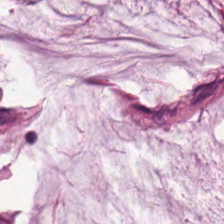224×224 px patch. H&E stain.
Q: Classify this patch.
A: Extracellular mucin.
